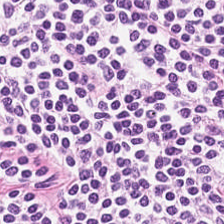H&E-stained tissue section showing lymphocyte aggregate.
